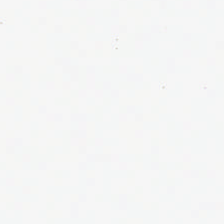224×224 pixel tile · brightfield microscopy · hematoxylin and eosin.
The classification is empty background.
